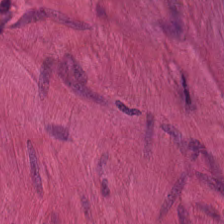Formalin-fixed paraffin-embedded section · hematoxylin-and-eosin stained section.
Showing muscularis.
